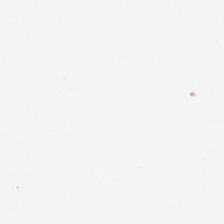Q: What does this patch show?
A: It is background (no tissue).
